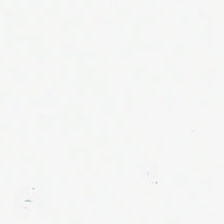H&E stain. 224×224 pixel tile.
Q: What is shown in this field?
A: Empty background.
